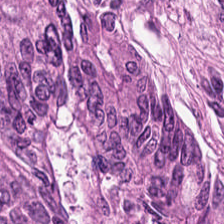The tissue here is tumor epithelium.
